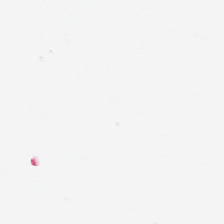Background (no tissue).
